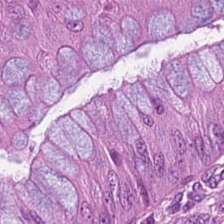H&E-stained tissue section showing colorectal adenocarcinoma.
